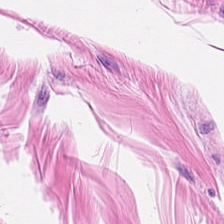Hematoxylin-and-eosin stained section — This field is smooth muscle.
